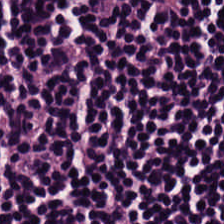H&E stain. FFPE. 20× equivalent magnification.
Impression → lymphocyte aggregate.
